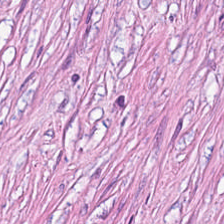Stain: H&E.
Acquisition: brightfield microscopy.
Predominant tissue: cancer-associated stroma.
